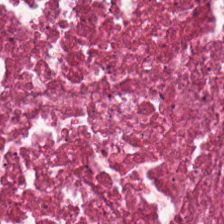224×224 pixel tile. H&E. Tissue type: cellular debris.
